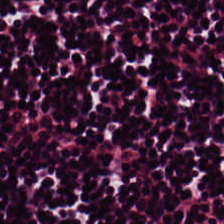Hematoxylin and eosin · whole-slide-image patch.
Q: Classify this patch.
A: It is lymphocytic infiltrate.
